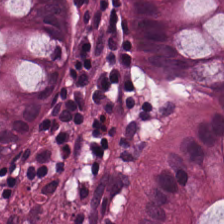Stain: H&E stain.
Tissue type: normal colon mucosa.
